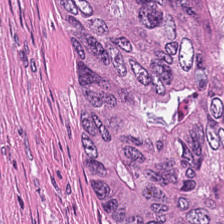Stain: hematoxylin and eosin.
Predominant tissue: debris.
